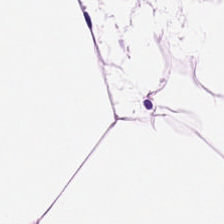Stain: H&E.
Acquisition: brightfield microscopy.
Preparation: formalin-fixed paraffin-embedded section.
Classification: adipocytes.
